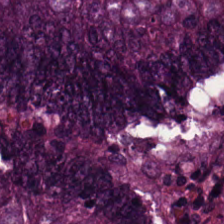Hematoxylin-and-eosin stained section · 224×224 px tile. Q: What is shown in this field?
A: It is tumor epithelium.
